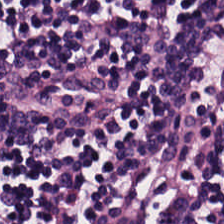H&E. Brightfield microscopy. The predominant tissue is lymphocytes.
